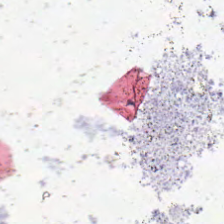FFPE tissue section · 0.5 µm/px · H&E stain. Q: What is shown here?
A: It is background.
